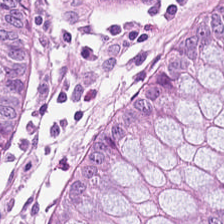Brightfield. H&E stain. Q: Identify the tissue.
A: This is normal colonic mucosa.
